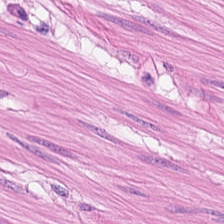Hematoxylin-and-eosin stained section · 0.5 µm per pixel. The tissue here is smooth muscle.
